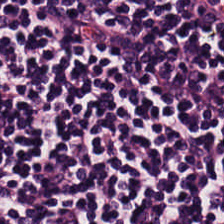Brightfield · H&E · 0.5 µm/px.
Q: What type of tissue is this?
A: This is lymphocyte aggregate.
